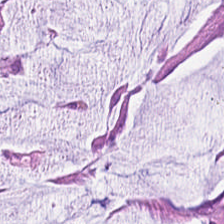H&E. Predominant tissue — mucin.
